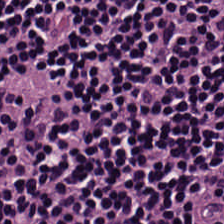Stain: hematoxylin and eosin.
Tissue type: lymphocyte aggregate.
